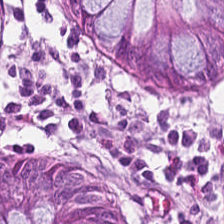Hematoxylin and eosin.
This field is non-neoplastic colon mucosa.
